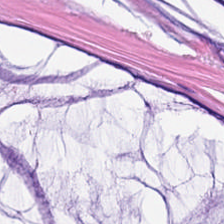Q: What does this patch show?
A: This is mucus.
